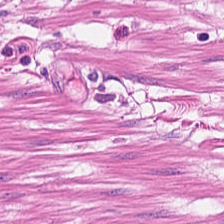Brightfield microscopy. Hematoxylin-and-eosin stained section. 224×224 px patch. The tissue type is smooth muscle.
